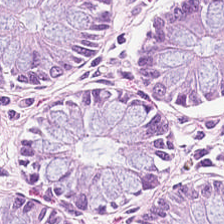Hematoxylin and eosin — {"tissue_type": "non-neoplastic colon mucosa"}
